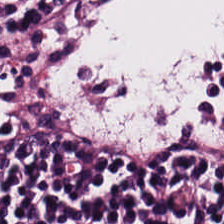224×224 px patch. H&E-stained tissue section.
Tissue class — lymphocyte aggregate.
